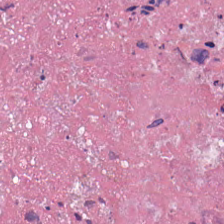Formalin-fixed paraffin-embedded section. Hematoxylin and eosin. Brightfield microscopy.
Tissue class = debris.
